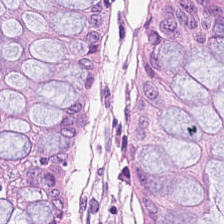Brightfield microscopy · 224×224 px tile · H&E-stained tissue section — Q: What is shown in this field?
A: This is benign colonic mucosa.
